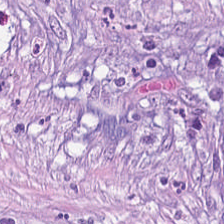Q: Classify this patch.
A: This is tumor-associated stroma.
